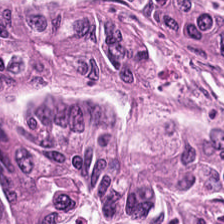Hematoxylin and eosin; 224×224 px patch.
Tissue class = adenocarcinoma.
